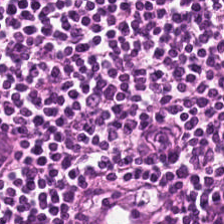H&E-stained tissue section — Q: What is the predominant tissue type?
A: Lymphocytes.
